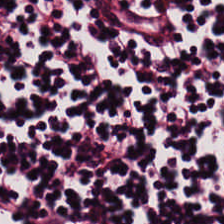Hematoxylin and eosin — Q: What is shown in this field?
A: The field shows lymphoid infiltrate.
